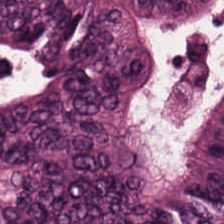224×224 px tile. Hematoxylin-and-eosin stained section — {"tissue_type": "malignant epithelium"}
